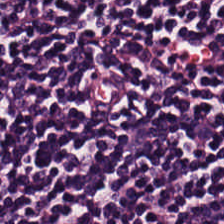H&E.
Impression → lymphocytic infiltrate.
